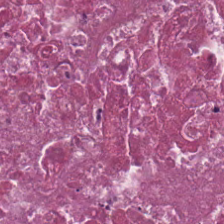H&E stain. This patch shows necrotic debris.
